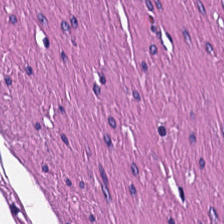Impression — smooth muscle.
